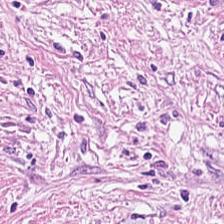0.5 microns per pixel. Hematoxylin-and-eosin stained section.
Impression — desmoplastic stroma.
